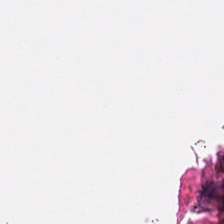Hematoxylin-and-eosin stained section. Q: Classify this patch.
A: This is background.
